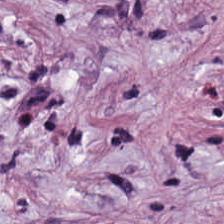H&E stain.
Q: What is shown here?
A: This is cancer-associated stroma.
